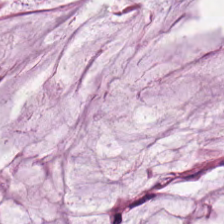Hematoxylin-and-eosin section: mucus.
